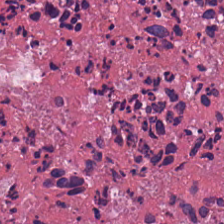0.5 µm/px · H&E-stained tissue section. This patch shows debris.
